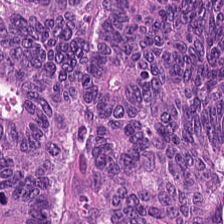H&E; 0.5 microns per pixel.
Tissue class — adenocarcinoma.
